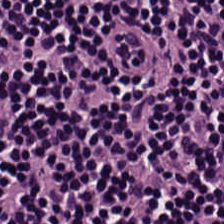Hematoxylin and eosin — Showing lymphocytic infiltrate.
